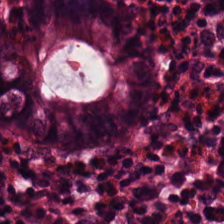Stain: H&E stain.
Acquisition: brightfield microscopy.
Predominant tissue: normal colonic mucosa.
